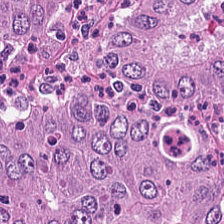H&E.
Tissue class = colorectal adenocarcinoma epithelium.
